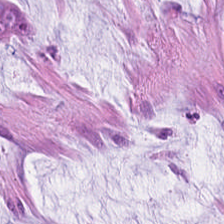Stain: hematoxylin-and-eosin stained section.
Tissue: mucin.
